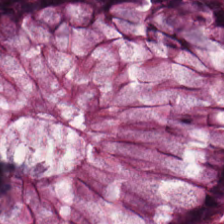Classification: non-neoplastic colon mucosa.
